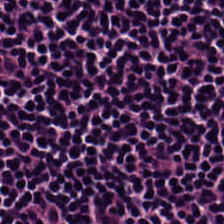224×224 pixel tile · FFPE · H&E — Lymphocyte aggregate.
